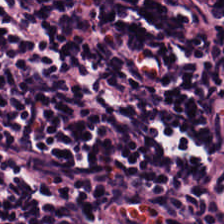Brightfield. Hematoxylin-and-eosin stained section. Lymphocytes.
